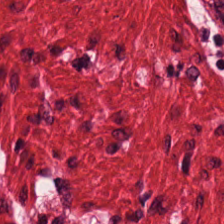H&E stain. {"tissue_type": "smooth-muscle tissue"}
